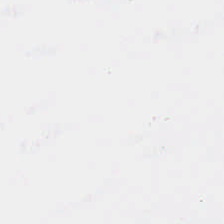H&E stain. Q: What is shown here?
A: This is background.
